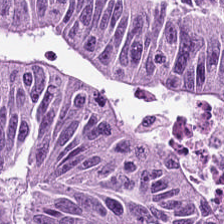Hematoxylin-and-eosin stained section. Q: What is shown in this field?
A: The field shows tumor epithelium.
